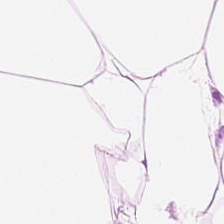224×224 px tile. H&E. Formalin-fixed paraffin-embedded section — Impression — adipocytes.
